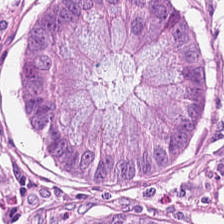224×224 px tile; H&E-stained tissue section — This field is non-neoplastic colon mucosa.
